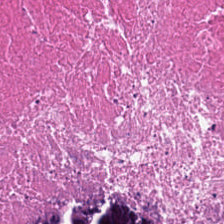Stain: hematoxylin and eosin.
Tile size: 224×224 pixel tile.
Classification: necrotic debris.
